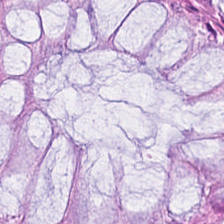Impression — normal colonic mucosa.
